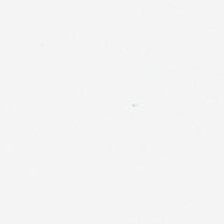H&E stain. Background — no tissue in this field.
